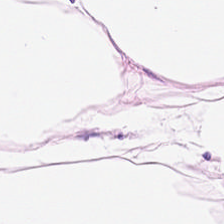H&E stain; 0.5 µm/px; formalin-fixed paraffin-embedded section. The tissue type is adipocytes.
